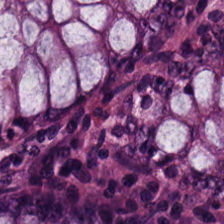Hematoxylin and eosin. 0.5 µm/px. 224×224 px tile. Q: What is shown here?
A: This is normal colonic mucosa.
